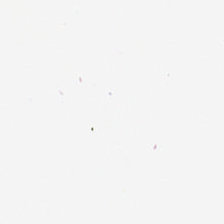H&E stain; 224×224 px patch; brightfield microscopy. Q: What does this patch show?
A: This is background (no tissue).
